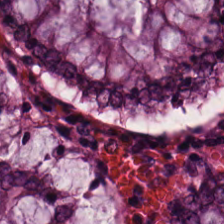Predominantly normal colon mucosa.
